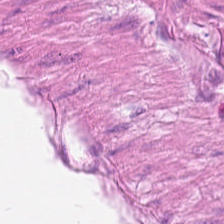H&E; 0.5 microns per pixel.
Finding → muscularis.
